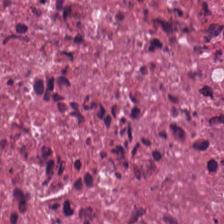0.5 µm/px. 224×224 px patch. H&E stain — The classification is necrotic debris.
